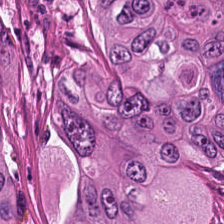H&E-stained tissue section. The predominant tissue is tumor epithelium.
